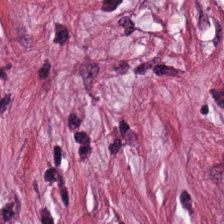Brightfield. H&E-stained tissue section. 20× equivalent magnification. Q: What type of tissue is this?
A: This is tumor stroma.
